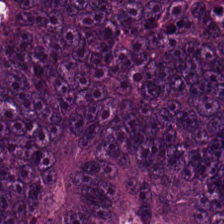Stain: H&E.
Resolution: 0.5 microns per pixel.
Tissue type: colorectal adenocarcinoma epithelium.
